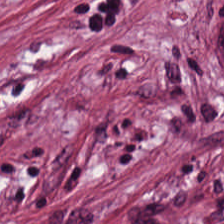H&E stain. Classification: desmoplastic stroma.
